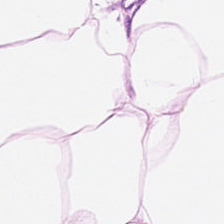The tissue is adipose.
